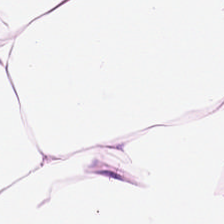H&E-stained tissue section — The tissue class is adipose tissue.
